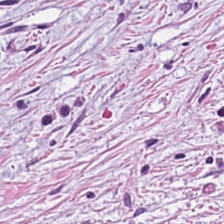H&E; 224×224 px patch; 0.5 microns per pixel.
The predominant tissue is tumor-associated stroma.
